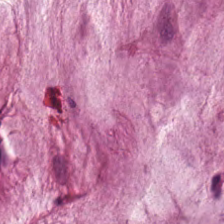224×224 pixel tile · H&E.
Tissue class = mucin.
